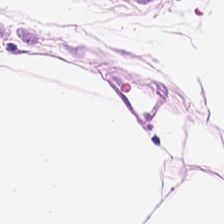Hematoxylin-and-eosin stained section — The predominant tissue is adipocytes.
